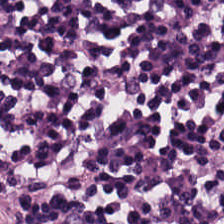H&E; formalin-fixed paraffin-embedded section — Tissue: lymphocyte aggregate.
